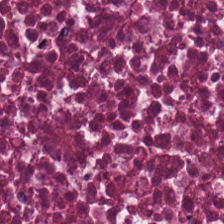Showing debris.
